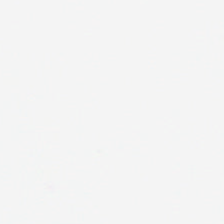0.5 µm/px. H&E-stained tissue section. Whole-slide-image patch. No tissue present; background only.
